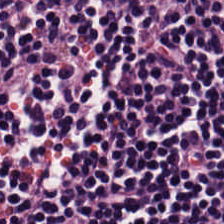224×224 px tile · 20× equivalent magnification · H&E-stained tissue section — Finding → lymphoid infiltrate.
